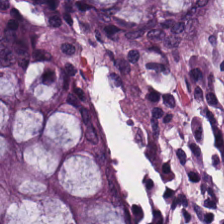H&E-stained tissue section. Showing benign colonic mucosa.
